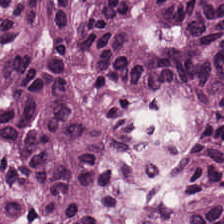H&E-stained tissue section. FFPE tissue section.
Tissue type — colorectal adenocarcinoma epithelium.
